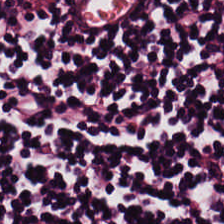Whole-slide-image patch · hematoxylin and eosin · 20× equivalent magnification. Tissue type: lymphoid infiltrate.
